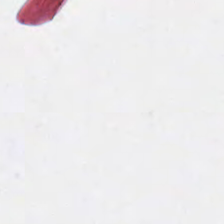Classification = empty background.
